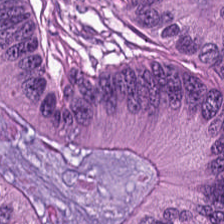H&E stain.
Showing colorectal adenocarcinoma epithelium.
